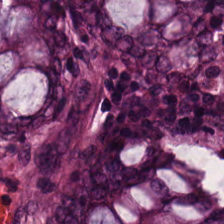H&E stain — Histology → benign colonic mucosa.
